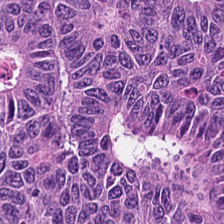Q: What tissue type is shown here?
A: The field shows colorectal adenocarcinoma epithelium.
